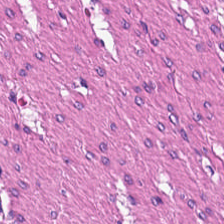224×224 px patch. FFPE. H&E. {"tissue_type": "muscularis"}
